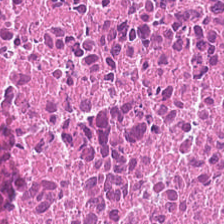Stain: H&E-stained tissue section.
Preparation: FFPE tissue section.
Tissue class: cellular debris.
